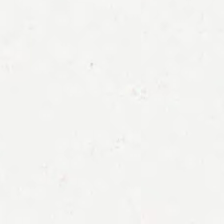H&E stain.
No tissue present; background only.
